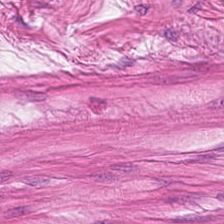H&E stain · brightfield — Showing muscularis.
